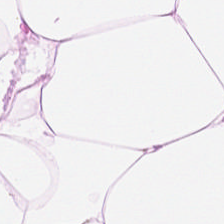H&E patch showing fat tissue.
